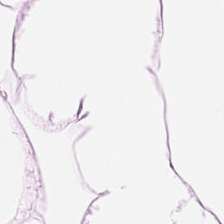Hematoxylin and eosin. Classification = adipocytes.
